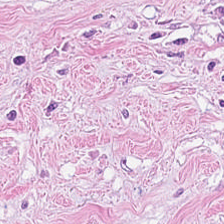224×224 pixel tile; whole-slide-image patch; H&E stain — Finding — tumor-associated stroma.
